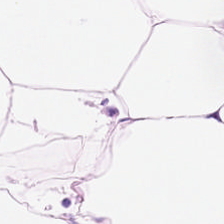Q: What tissue is shown?
A: Adipose.
